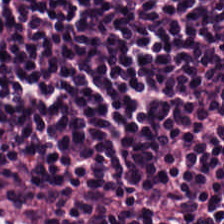Hematoxylin-and-eosin stained section — Classification: lymphocyte aggregate.
